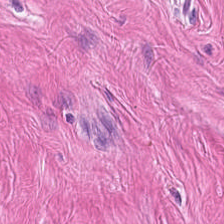224×224 pixel tile. 0.5 µm per pixel. H&E.
Predominant tissue = smooth-muscle tissue.
